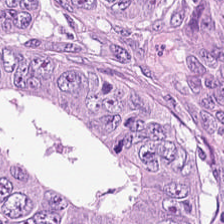H&E — Tissue type = colorectal adenocarcinoma epithelium.
